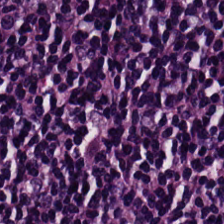Hematoxylin and eosin — {"tissue_type": "lymphocytic infiltrate"}
